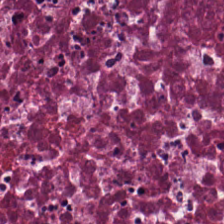0.5 microns per pixel. H&E stain. Tissue class — cellular debris.
